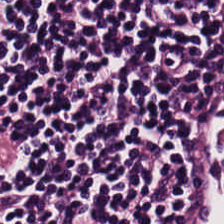H&E patch showing lymphocyte aggregate.
